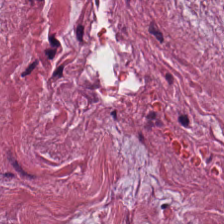FFPE tissue section; H&E stain; 224×224 pixel tile. The tissue here is tumor-associated stroma.
